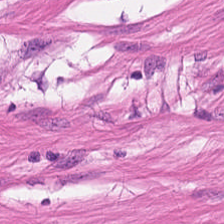Tissue type = smooth-muscle tissue.
